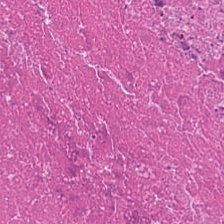Brightfield microscopy; hematoxylin-and-eosin stained section. Q: What type of tissue is this?
A: The field shows necrotic debris.
